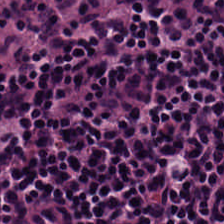FFPE. H&E-stained tissue section.
Impression → lymphocytic infiltrate.
